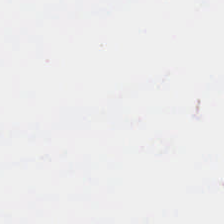Hematoxylin and eosin. Formalin-fixed paraffin-embedded section — Background (no tissue).
